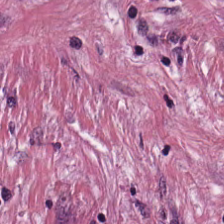H&E — Cancer-associated stroma.
